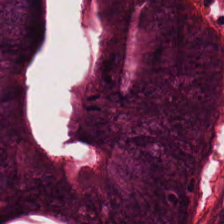H&E-stained tissue section — The tissue here is colorectal adenocarcinoma.
